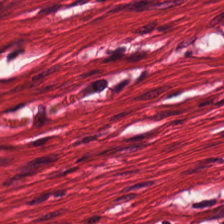Showing smooth-muscle tissue.
